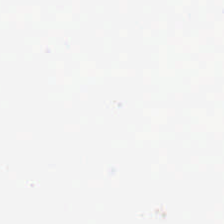WSI patch. 0.5 microns per pixel. H&E-stained tissue section. No tissue present; background only.
